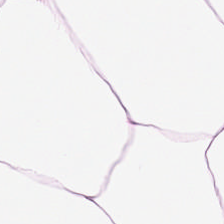Q: What type of tissue is this?
A: It is adipose tissue.
